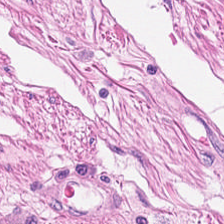WSI patch. H&E-stained tissue section — Histology → smooth-muscle tissue.
